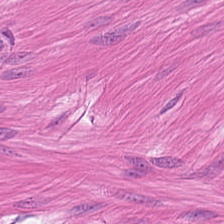Tissue — smooth muscle.
